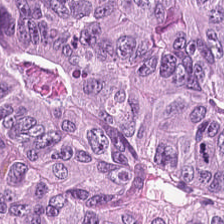Q: What tissue is shown?
A: The field shows colorectal adenocarcinoma epithelium.
